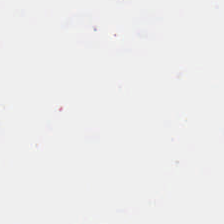224×224 px tile; H&E. The classification is background (no tissue).
